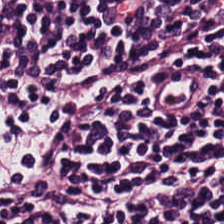Hematoxylin and eosin.
Showing lymphoid infiltrate.
